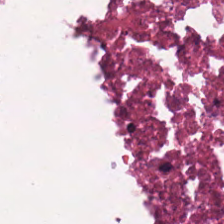Hematoxylin and eosin. FFPE tissue section — Impression → cellular debris.
